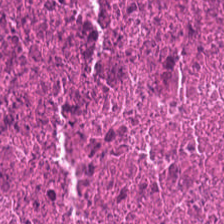Hematoxylin and eosin. Predominant tissue = debris.
